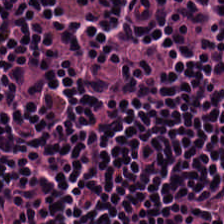H&E-stained section; the field shows lymphocyte aggregate.
